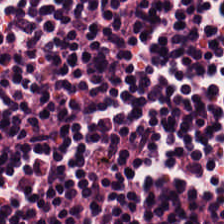WSI patch; H&E stain. This patch shows lymphocytes.
